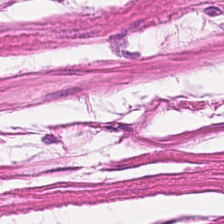FFPE tissue section · H&E-stained tissue section.
{"tissue_type": "muscularis"}
